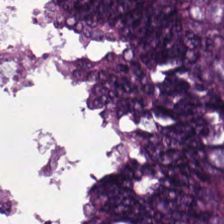Q: Classify this patch.
A: The field shows adenocarcinoma.
